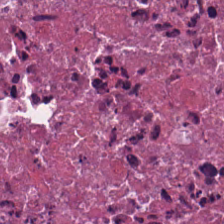Whole-slide-image patch; H&E stain. Showing cellular debris.
